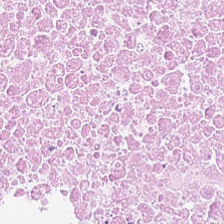H&E-stained tissue section — This field is necrotic debris.
